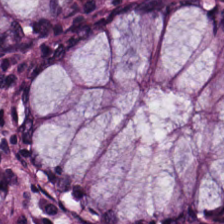H&E-stained tissue section. FFPE tissue section.
Q: What is shown here?
A: This is benign colonic mucosa.
